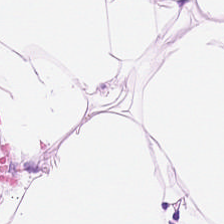20× equivalent magnification · hematoxylin-and-eosin stained section. The tissue class is adipose tissue.
